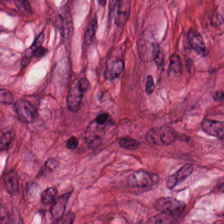This field is desmoplastic stroma.
